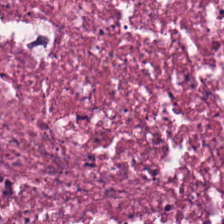Stain: H&E-stained tissue section.
Resolution: 20× equivalent magnification.
Classification: cellular debris.
